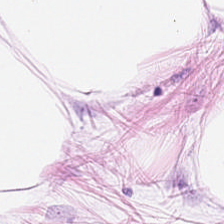FFPE; H&E-stained tissue section. This patch shows adipose tissue.
